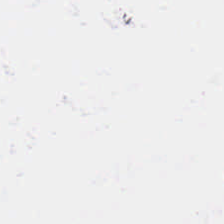FFPE tissue section. Brightfield microscopy. Hematoxylin and eosin. Empty field — empty background.
